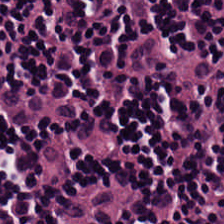Hematoxylin and eosin. Brightfield microscopy. Classification — lymphocyte aggregate.
